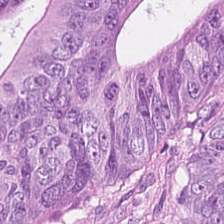H&E stain; 224×224 pixel tile — Predominant tissue: malignant epithelium.
